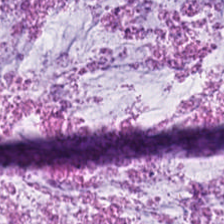Brightfield microscopy. Hematoxylin and eosin.
The predominant tissue is extracellular mucin.
